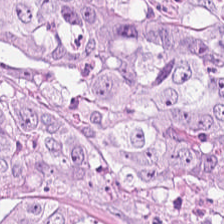Hematoxylin and eosin.
Impression — colorectal adenocarcinoma.
